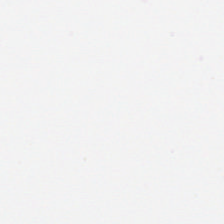Brightfield microscopy. Hematoxylin-and-eosin stained section. This patch shows empty background.
